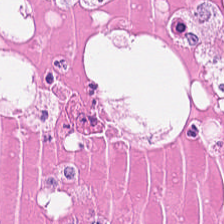H&E-stained tissue section.
Classification = debris.
